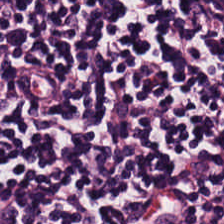Impression — lymphoid infiltrate.
